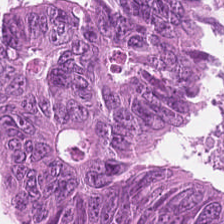H&E. 224×224 px tile — The predominant tissue is colorectal adenocarcinoma.
